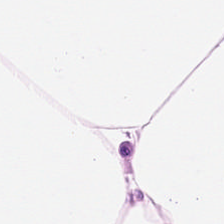Formalin-fixed paraffin-embedded section; H&E.
The predominant tissue is adipose.
